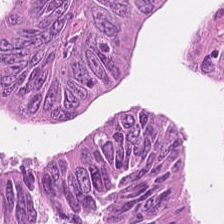H&E-stained tissue section. Tissue class — tumor epithelium.
